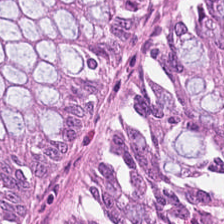This patch shows normal colon mucosa.
